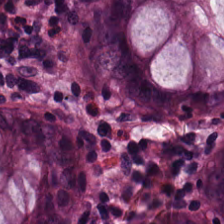224×224 pixel tile. H&E stain — The tissue here is benign colonic mucosa.
